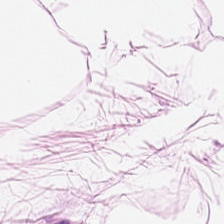H&E-stained tissue section.
The tissue class is adipose.
